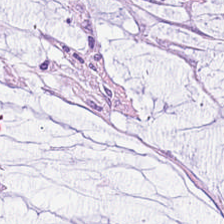224×224 px patch. H&E-stained tissue section.
Tissue — extracellular mucin.
